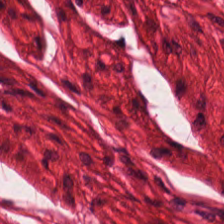Stain: H&E-stained tissue section.
Preparation: FFPE tissue section.
Acquisition: brightfield microscopy.
Tissue class: muscularis.
